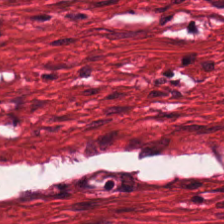Classification: smooth muscle.
